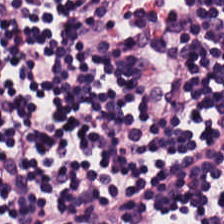{"tissue_type": "lymphocytic infiltrate"}
